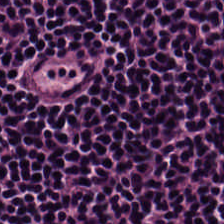{"tissue_type": "lymphocytes"}
